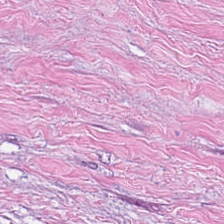H&E stain — Q: Identify the tissue.
A: Desmoplastic stroma.
